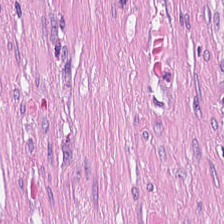Q: What tissue is shown?
A: Tumor stroma.
